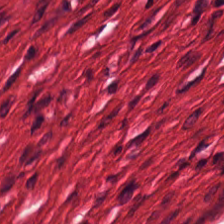224×224 pixel tile; hematoxylin and eosin; whole-slide-image patch.
Q: What does this patch show?
A: It is smooth muscle.
